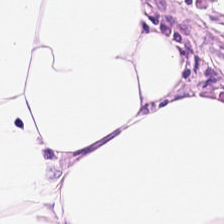The predominant tissue is adipocytes.
